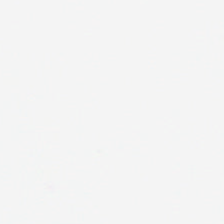H&E-stained tissue section. FFPE tissue section.
Classification: no tissue.
